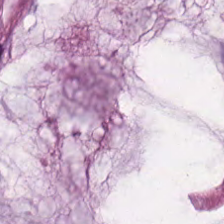Stain: H&E.
Resolution: 0.5 µm per pixel.
Tissue class: mucus.
